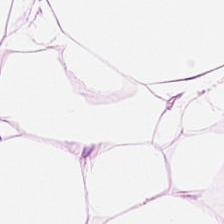0.5 microns per pixel · H&E stain.
Predominantly fat tissue.
